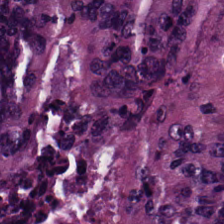Stain: hematoxylin and eosin.
Acquisition: brightfield.
Tissue type: colorectal adenocarcinoma.
